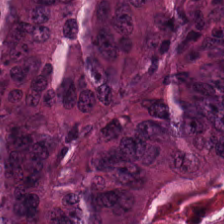Stain: H&E-stained tissue section.
Classification: colorectal adenocarcinoma.
